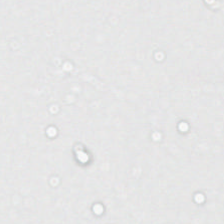H&E stain. 224×224 px patch. WSI patch — Background — no tissue in this field.
